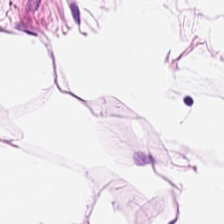Q: What tissue type is shown here?
A: It is fat tissue.
